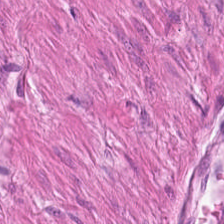H&E.
The tissue type is smooth-muscle tissue.
